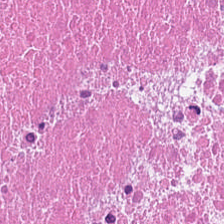Stain: H&E-stained tissue section.
Preparation: FFPE tissue section.
Resolution: 0.5 microns per pixel.
Classification: necrotic debris.
